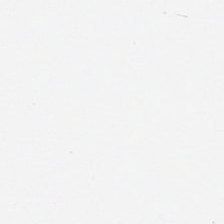Stain: H&E-stained tissue section.
Resolution: 0.5 µm per pixel.
Tissue: adipose.
